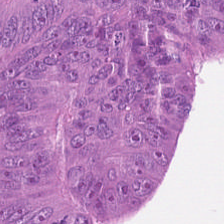Brightfield. Hematoxylin and eosin. FFPE tissue section.
This field is colorectal adenocarcinoma.
